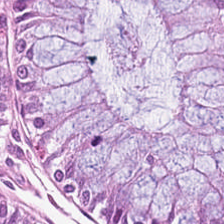224×224 px patch. H&E — Showing normal colonic mucosa.
